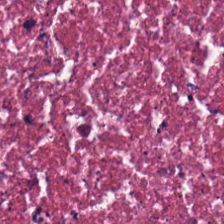Tissue = necrotic debris.
